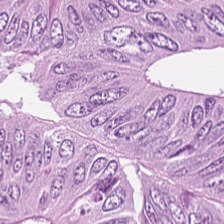Whole-slide-image patch · H&E · FFPE tissue section. Colorectal adenocarcinoma epithelium.
